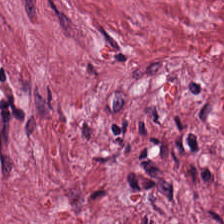20× equivalent magnification · 224×224 px tile · H&E stain.
Tissue: tumor-associated stroma.
